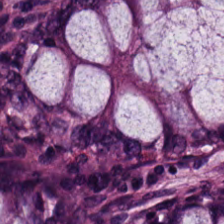FFPE tissue section. H&E stain — This field is benign colonic mucosa.
